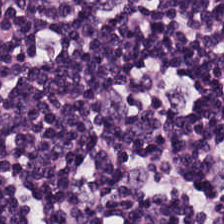H&E-stained tissue section. Whole-slide-image patch. Showing lymphocyte aggregate.
